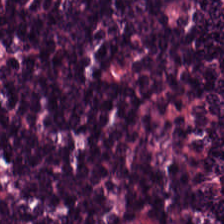Hematoxylin-and-eosin stained section — Predominant tissue: lymphoid infiltrate.
